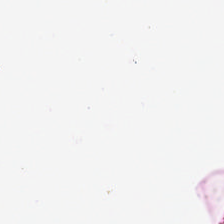0.5 microns per pixel · 224×224 px patch · H&E stain.
Q: What is shown in this field?
A: Background (no tissue).
